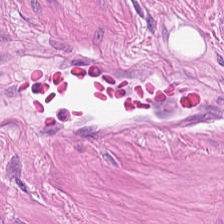Hematoxylin and eosin — Showing muscularis.
